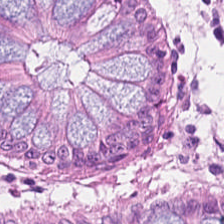Hematoxylin-and-eosin stained section · 224×224 pixel tile.
Impression → non-neoplastic colon mucosa.
